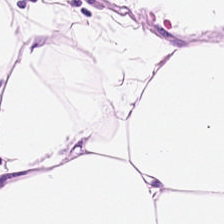The tissue is adipocytes.
